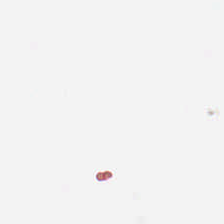FFPE tissue section. 224×224 pixel tile. Hematoxylin and eosin — Q: Classify this patch.
A: It is no tissue.
